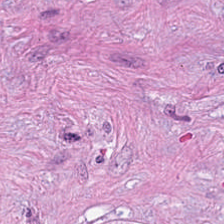224×224 pixel tile. Hematoxylin and eosin. Q: What does this patch show?
A: This is desmoplastic stroma.
